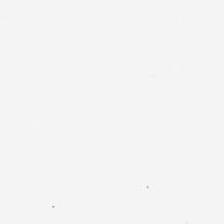Q: Classify this patch.
A: It is no tissue.
